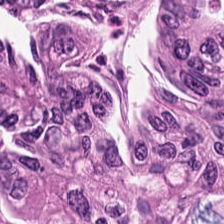Q: What is shown in this field?
A: Malignant epithelium.
